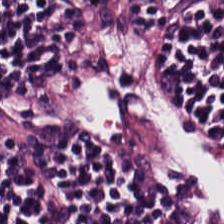H&E stain — Tissue: lymphocytic infiltrate.
